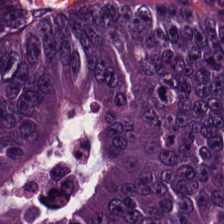H&E stain; FFPE tissue section.
Predominant tissue — colorectal adenocarcinoma epithelium.
